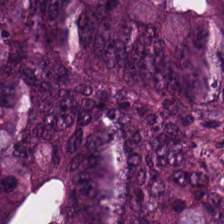Q: What is the predominant tissue type?
A: This is malignant epithelium.
